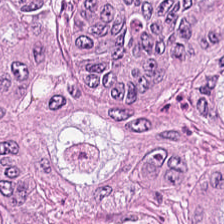224×224 px tile · WSI patch · hematoxylin and eosin. Tissue type — adenocarcinoma.
